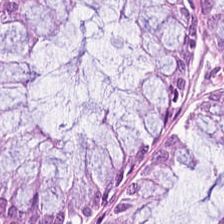H&E — normal colon mucosa.
